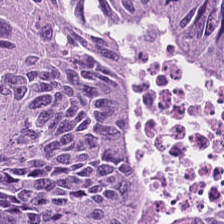Q: Identify the tissue.
A: It is adenocarcinoma.
